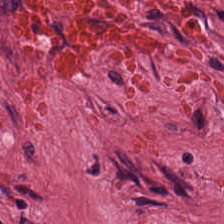Hematoxylin-and-eosin stained section — Tissue class = tumor-associated stroma.
